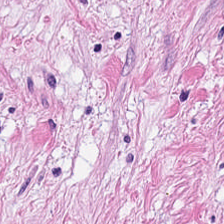H&E-stained tissue section. 20× equivalent magnification — Q: What is shown in this field?
A: This is cancer-associated stroma.
